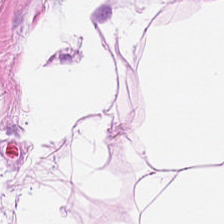H&E.
The predominant tissue is adipose.
